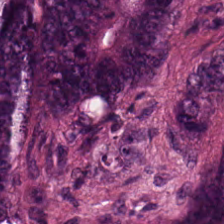FFPE; H&E-stained tissue section — Tissue type = tumor epithelium.
